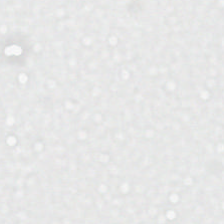H&E. No tissue present; background only.
